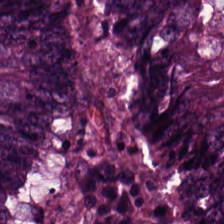Stain: hematoxylin-and-eosin stained section.
Resolution: 0.5 µm per pixel.
Tissue class: colorectal adenocarcinoma epithelium.
